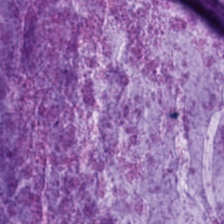Q: What tissue is shown?
A: The field shows extracellular mucin.
